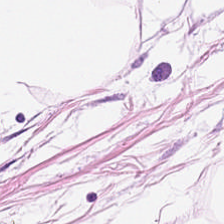Hematoxylin and eosin; WSI patch.
Adipose tissue.
